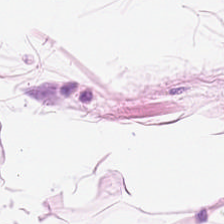224×224 px patch · hematoxylin-and-eosin stained section. Q: What type of tissue is this?
A: Adipose.
